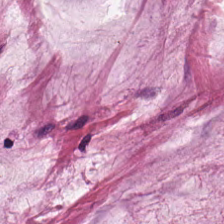H&E stain — Showing mucus.
